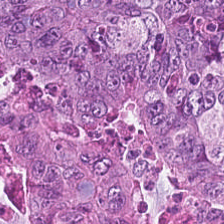H&E-stained tissue section.
The predominant tissue is colorectal adenocarcinoma.
